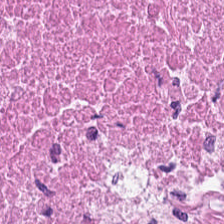Stain: H&E-stained tissue section.
Tissue type: cellular debris.
